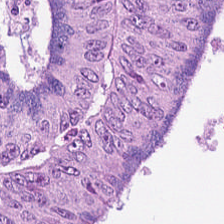Hematoxylin and eosin · 0.5 µm per pixel · 224×224 px tile. The tissue here is colorectal adenocarcinoma epithelium.
